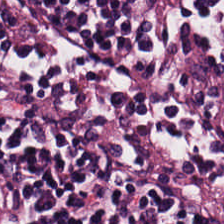H&E stain; WSI patch.
This field is lymphoid infiltrate.
